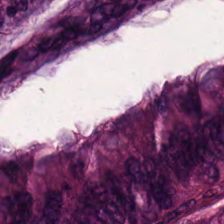0.5 microns per pixel. 224×224 px patch. H&E-stained tissue section.
Classification: adenocarcinoma.
